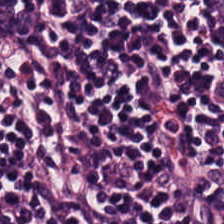Hematoxylin and eosin. Finding → lymphocytic infiltrate.
